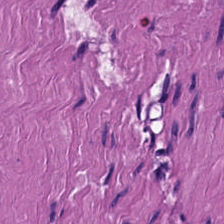H&E-stained tissue section · brightfield — Q: What is the predominant tissue type?
A: The field shows smooth-muscle tissue.
